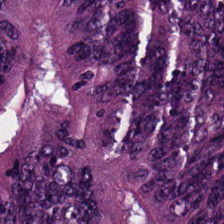Stain: hematoxylin-and-eosin stained section.
Predominant tissue: tumor epithelium.
